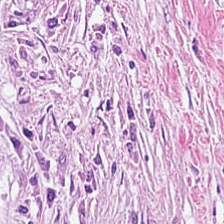FFPE tissue section · 0.5 µm/px · H&E stain. Tissue class: desmoplastic stroma.
